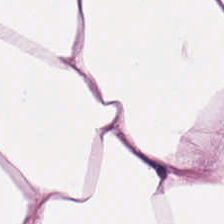Hematoxylin-and-eosin stained section. Finding — adipose tissue.
